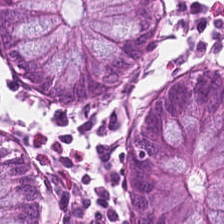Formalin-fixed paraffin-embedded section · 224×224 pixel tile · H&E-stained tissue section — Q: What is shown in this field?
A: Normal colonic mucosa.
